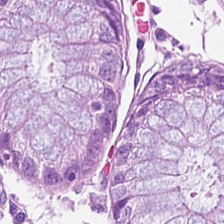0.5 µm/px. H&E-stained tissue section. 224×224 px tile — Classification — normal colon mucosa.
